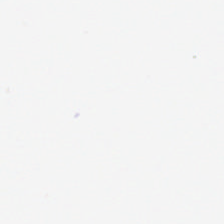Hematoxylin and eosin. Q: What does this patch show?
A: This is background.
